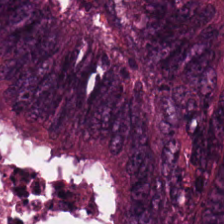0.5 µm/px · formalin-fixed paraffin-embedded section · H&E-stained tissue section.
{"tissue_type": "adenocarcinoma"}
